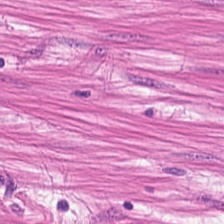H&E-stained tissue section showing smooth muscle.
